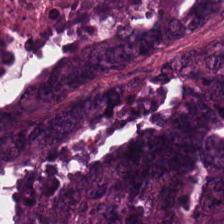H&E-stained section; the field shows malignant epithelium.
